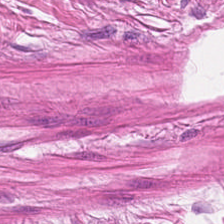H&E-stained tissue section.
Classification: smooth muscle.
